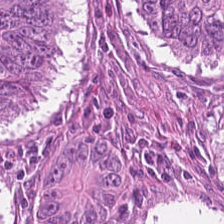Stain: H&E.
Resolution: 0.5 microns per pixel.
Tissue: colorectal adenocarcinoma.
